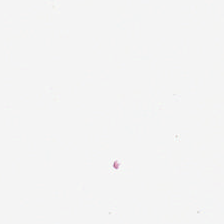Hematoxylin-and-eosin stained section.
This patch shows no tissue.
